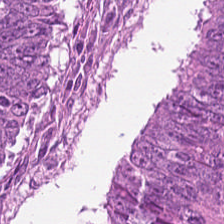H&E stain — Classification — malignant epithelium.
